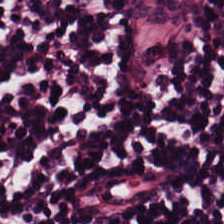The tissue here is lymphoid infiltrate.
